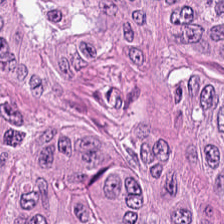H&E.
Tissue type: colorectal adenocarcinoma epithelium.
